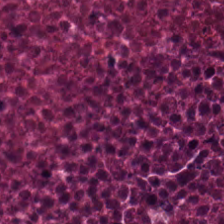0.5 microns per pixel; hematoxylin and eosin — Predominant tissue: debris.
